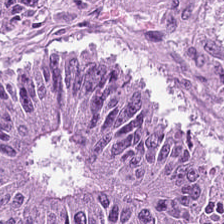H&E.
Q: What does this patch show?
A: This is colorectal adenocarcinoma epithelium.
